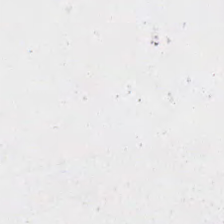Background — no tissue in this field.
